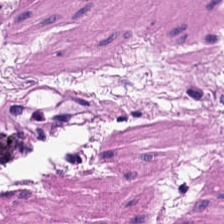0.5 µm per pixel. Brightfield microscopy. H&E stain — The predominant tissue is smooth muscle.
